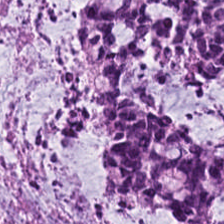H&E-stained tissue section. Impression → extracellular mucin.
